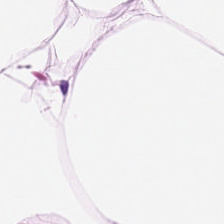Hematoxylin-and-eosin stained section. Q: What does this patch show?
A: This is adipocytes.
